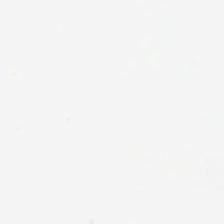{"content": "empty background"}
